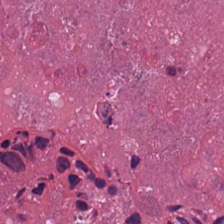Hematoxylin-and-eosin stained section.
Tissue type: necrotic debris.
